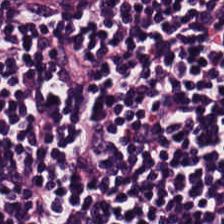224×224 pixel tile. H&E. 20× equivalent magnification. Q: Classify this patch.
A: This is lymphocytes.
